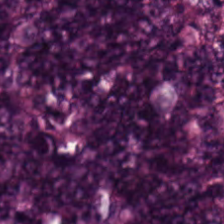H&E-stained tissue section.
Adenocarcinoma.
